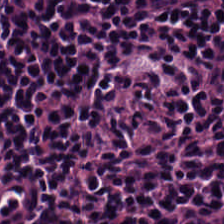H&E — The predominant tissue is lymphoid infiltrate.
